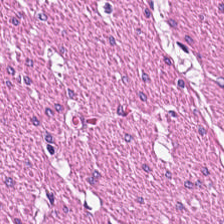20× equivalent magnification; H&E-stained tissue section; brightfield. The tissue here is smooth muscle.
